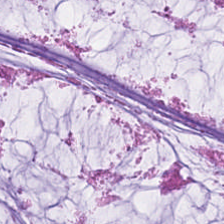Q: Identify the tissue.
A: The field shows mucus.
